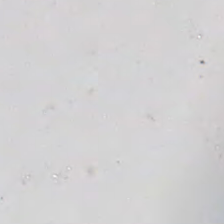Hematoxylin-and-eosin stained section. 224×224 px tile. Brightfield. This field is background (no tissue).
